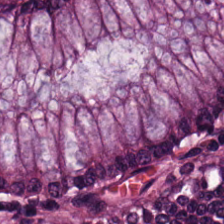Hematoxylin-and-eosin stained section; 224×224 pixel tile; 0.5 microns per pixel. The tissue type is normal colonic mucosa.
